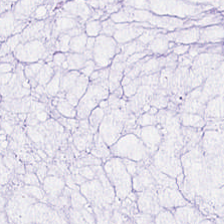H&E-stained tissue section.
Classification: mucin.
